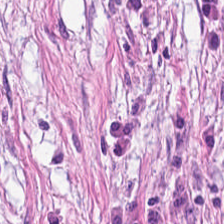FFPE tissue section. H&E stain. 0.5 microns per pixel — This patch shows cancer-associated stroma.
